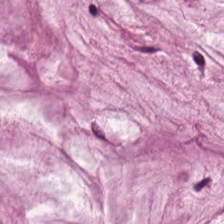224×224 pixel tile. H&E-stained tissue section. 0.5 µm/px.
Histology → extracellular mucin.
